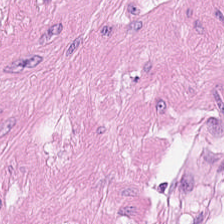Hematoxylin and eosin. Formalin-fixed paraffin-embedded section — Impression — smooth-muscle tissue.
